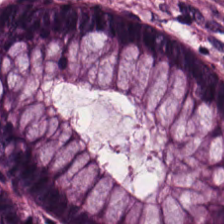224×224 px patch. H&E stain.
Showing non-neoplastic colon mucosa.
